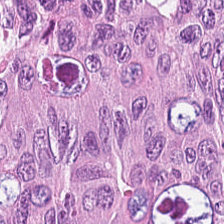H&E — The predominant tissue is malignant epithelium.
